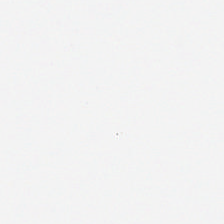Histology — background (no tissue).
